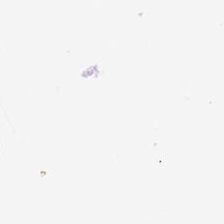H&E-stained tissue section.
Q: What does this patch show?
A: It is empty background.
